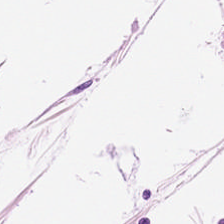H&E-stained tissue section.
Tissue type — adipose.
